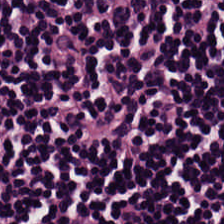Stain: H&E stain.
Tissue: lymphoid infiltrate.
